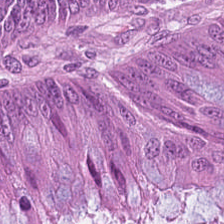Stain: hematoxylin and eosin.
Preparation: formalin-fixed paraffin-embedded section.
Resolution: 20× equivalent magnification.
Classification: tumor epithelium.
